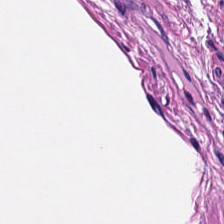Stain: hematoxylin-and-eosin stained section.
Predominant tissue: smooth muscle.
